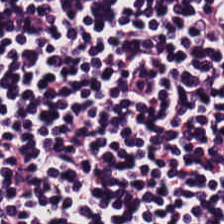Hematoxylin-and-eosin stained section. 0.5 µm per pixel. Lymphocyte aggregate.
